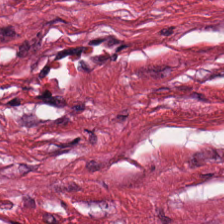H&E patch showing tumor stroma.
